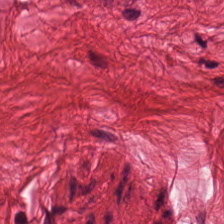Predominant tissue — smooth-muscle tissue.
